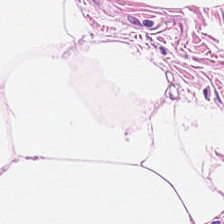H&E stain — Tissue class: adipocytes.
